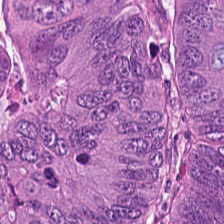The classification is adenocarcinoma.
